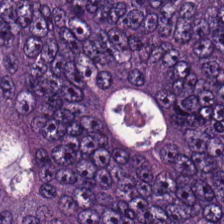FFPE · H&E — Tissue type = colorectal adenocarcinoma.
